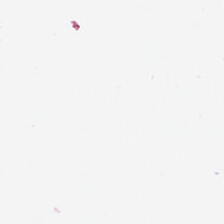Q: Classify this patch.
A: The field shows background.
